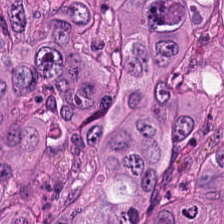H&E-stained section; the field shows adenocarcinoma.
